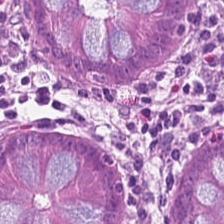H&E-stained tissue section.
Finding — non-neoplastic colon mucosa.
